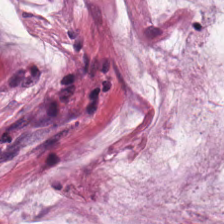Hematoxylin and eosin. Tissue class = mucin.
